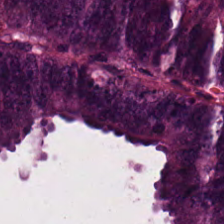224×224 px tile. FFPE tissue section. Hematoxylin and eosin.
Q: Identify the tissue.
A: This is colorectal adenocarcinoma.
